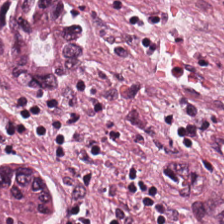Whole-slide-image patch; formalin-fixed paraffin-embedded section; H&E.
Q: Classify this patch.
A: This is tumor epithelium.
